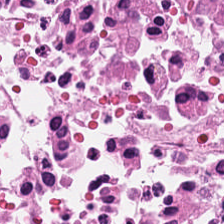{"tissue_type": "debris"}
